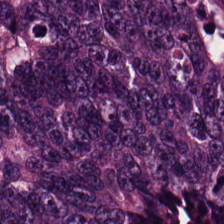H&E-stained tissue section — Predominant tissue — tumor epithelium.
